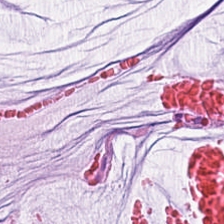H&E stain.
The predominant tissue is mucin.
